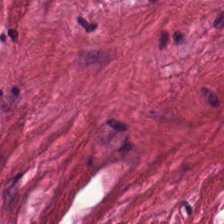Brightfield. Formalin-fixed paraffin-embedded section. H&E stain — This patch shows tumor-associated stroma.
